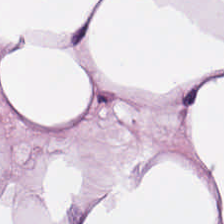H&E — adipose.
